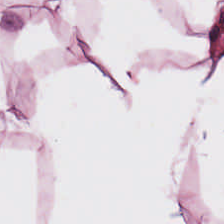Formalin-fixed paraffin-embedded section. H&E. Brightfield microscopy. Q: What type of tissue is this?
A: The field shows adipose.
